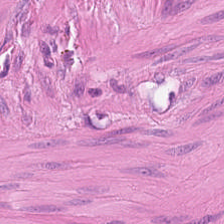Muscularis.
